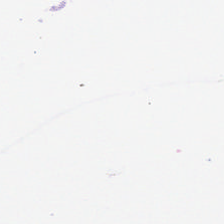Hematoxylin and eosin. 0.5 µm/px.
Classification — no tissue.
